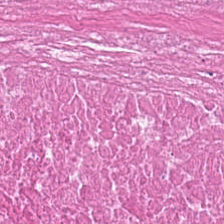H&E — Showing necrotic debris.
